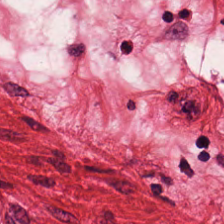224×224 px patch. Hematoxylin-and-eosin stained section.
Histology — muscularis.
